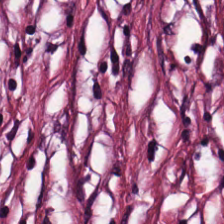Whole-slide-image patch; hematoxylin-and-eosin stained section; formalin-fixed paraffin-embedded section.
This field is desmoplastic stroma.
